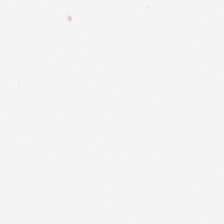Q: What is shown in this field?
A: It is background.
